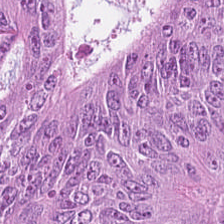H&E stain.
Tissue class: colorectal adenocarcinoma epithelium.
